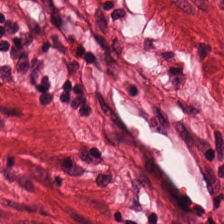H&E · FFPE — Predominantly smooth-muscle tissue.
